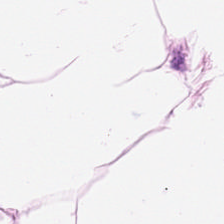H&E stain.
Adipose tissue.
